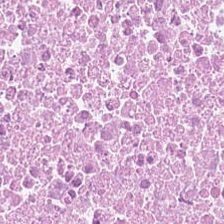Hematoxylin and eosin. Q: What is shown here?
A: It is debris.
